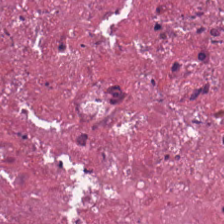H&E.
Tissue class — necrotic debris.
